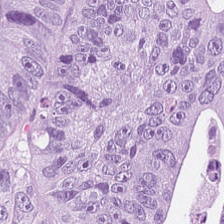Hematoxylin-and-eosin stained section. The predominant tissue is colorectal adenocarcinoma epithelium.
